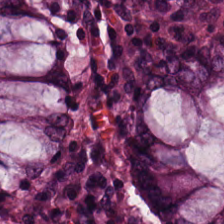H&E-stained tissue section. Normal colon mucosa.
